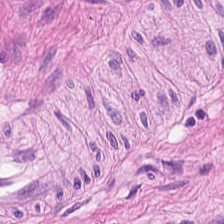H&E stain — Q: Classify this patch.
A: It is smooth muscle.
